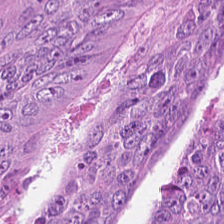FFPE · H&E stain · 224×224 px patch. Tissue class: colorectal adenocarcinoma.
